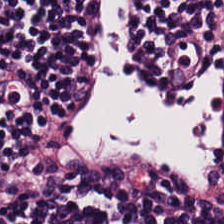Formalin-fixed paraffin-embedded section · 0.5 µm per pixel · H&E-stained tissue section. Tissue type — lymphocytic infiltrate.
